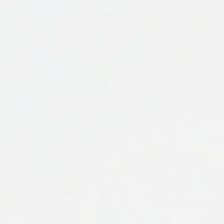Hematoxylin and eosin — Empty field — background (no tissue).
